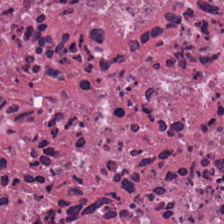H&E stain. This patch shows necrotic debris.
